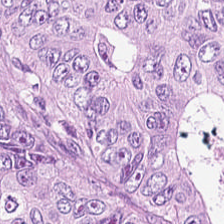Brightfield microscopy; 224×224 px patch; H&E. The predominant tissue is tumor epithelium.
